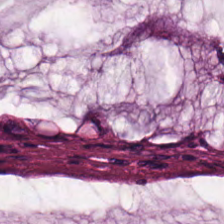H&E stain. 0.5 µm/px.
Predominantly extracellular mucin.
